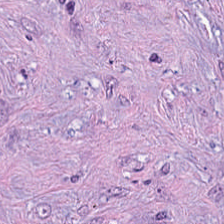This field is tumor-associated stroma.
